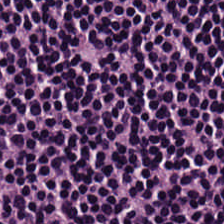H&E-stained tissue section.
Finding → lymphocyte aggregate.
